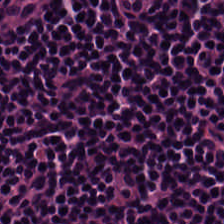0.5 µm per pixel. H&E stain.
Histology — lymphocytic infiltrate.
